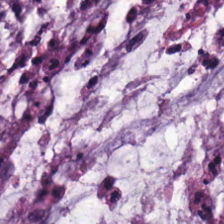H&E.
Tissue class — mucin.
